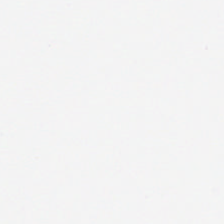H&E-stained tissue section.
Field content = background.
